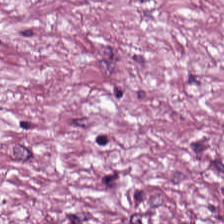0.5 µm/px; H&E. Desmoplastic stroma.
